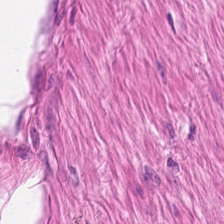Q: What is the predominant tissue type?
A: It is smooth-muscle tissue.
